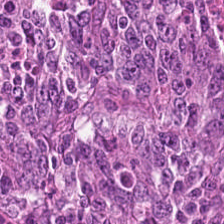H&E-stained section; the field shows colorectal adenocarcinoma epithelium.
